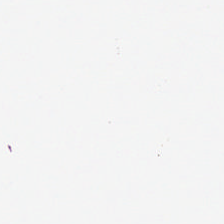Hematoxylin and eosin. This patch shows empty background.
